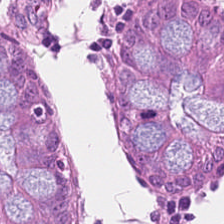Impression → normal colonic mucosa.
